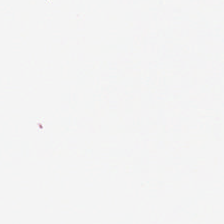Hematoxylin-and-eosin stained section — This patch shows no tissue.
